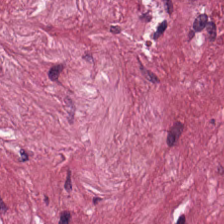Desmoplastic stroma.
